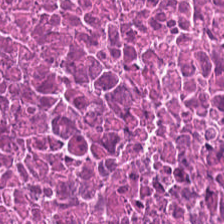Hematoxylin-and-eosin stained section. Showing necrotic debris.
